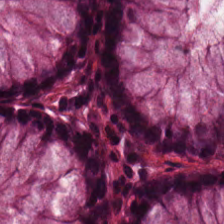Whole-slide-image patch. H&E.
The tissue here is benign colonic mucosa.
